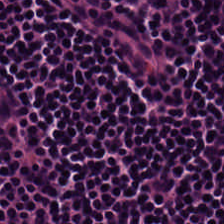Hematoxylin-and-eosin stained section — Predominantly lymphocytes.
